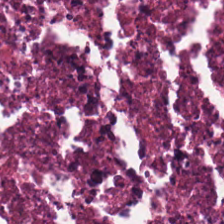H&E. Showing debris.
